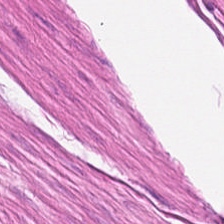Hematoxylin-and-eosin stained section · 224×224 px patch.
Predominantly smooth-muscle tissue.
